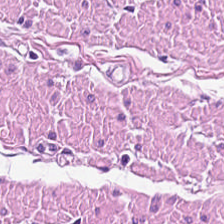Hematoxylin and eosin.
The predominant tissue is smooth muscle.
